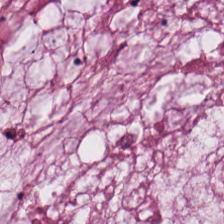H&E-stained tissue section; formalin-fixed paraffin-embedded section; 224×224 pixel tile — Histology → extracellular mucin.
